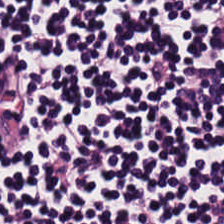H&E; 0.5 µm/px. The predominant tissue is lymphoid infiltrate.
